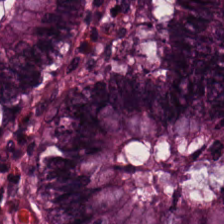Hematoxylin and eosin. Q: What tissue is shown?
A: It is non-neoplastic colon mucosa.
